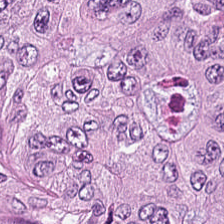Tissue class = adenocarcinoma.
